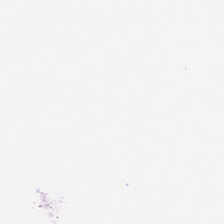0.5 microns per pixel; H&E-stained tissue section; WSI patch.
Empty field — background.
